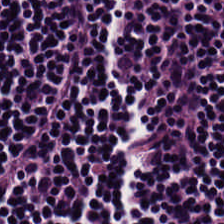H&E · 224×224 px tile · FFPE.
This field is lymphoid infiltrate.
